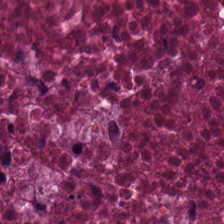Stain: H&E stain.
Tissue type: debris.
